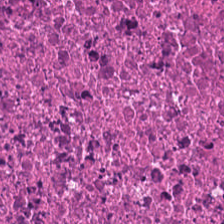Tissue type — necrotic debris.
